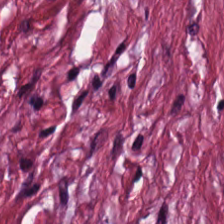H&E. The tissue is desmoplastic stroma.
